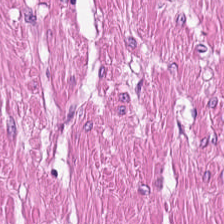H&E-stained tissue section · 0.5 microns per pixel — Q: Classify this patch.
A: It is smooth-muscle tissue.
